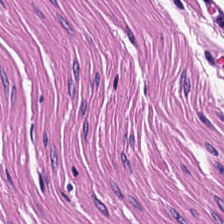Hematoxylin-and-eosin stained section. This field is smooth-muscle tissue.
